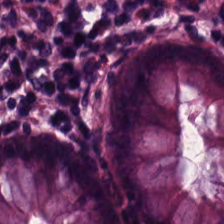Formalin-fixed paraffin-embedded section; hematoxylin-and-eosin stained section.
This field is normal colon mucosa.
